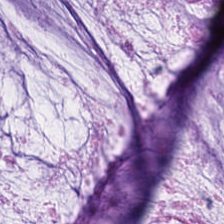H&E-stained tissue section.
Predominant tissue = mucus.
